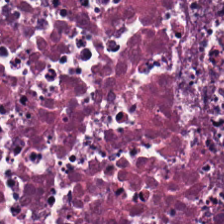H&E-stained tissue section — Classification — necrotic debris.
